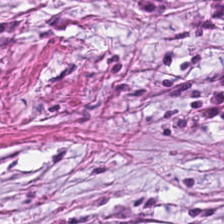H&E; 0.5 µm/px — Desmoplastic stroma.
